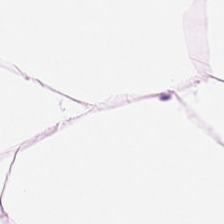H&E-stained tissue section.
Showing fat tissue.
